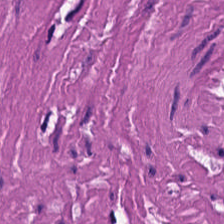Hematoxylin-and-eosin stained section · brightfield. Impression — muscularis.
